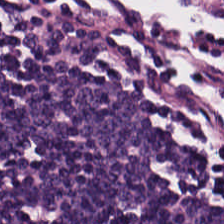H&E-stained tissue section.
Histology — lymphocytes.
